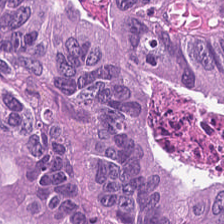H&E.
Predominantly colorectal adenocarcinoma.
